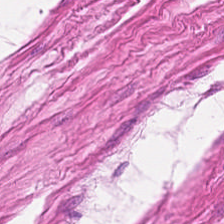224×224 px patch · H&E-stained tissue section · 0.5 µm/px. Predominantly smooth muscle.
